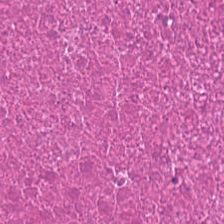H&E-stained tissue section — This patch shows cellular debris.
